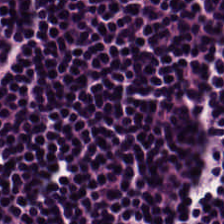224×224 px patch · hematoxylin and eosin.
This field is lymphocytic infiltrate.
